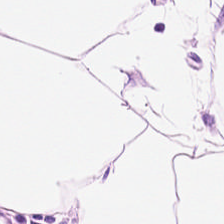Predominant tissue — fat tissue.
